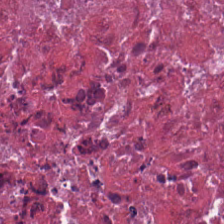Hematoxylin-and-eosin stained section. The predominant tissue is debris.
